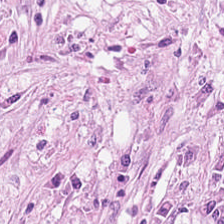H&E-stained tissue section — Q: What is shown here?
A: Tumor-associated stroma.
